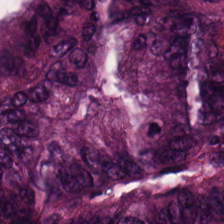Stain: H&E-stained tissue section.
Tissue: colorectal adenocarcinoma epithelium.
